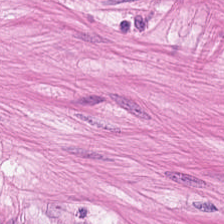Stain: hematoxylin and eosin.
Resolution: 0.5 µm per pixel.
Preparation: FFPE tissue section.
Predominant tissue: muscularis.
